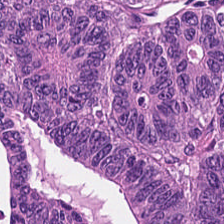H&E stain — Histology — tumor epithelium.
